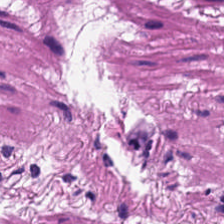H&E-stained tissue section — Tissue type — smooth muscle.
